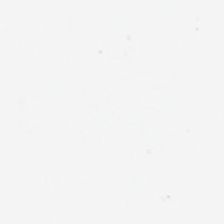Q: What is shown in this field?
A: It is empty background.
